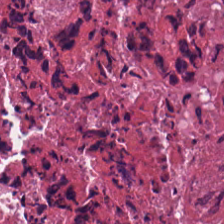H&E. Debris.
